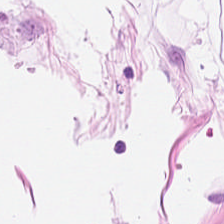0.5 microns per pixel; hematoxylin-and-eosin stained section.
Tissue type: adipocytes.
